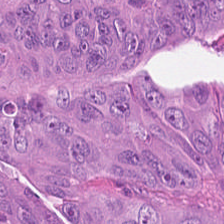224×224 pixel tile · 0.5 microns per pixel · H&E-stained tissue section. This field is colorectal adenocarcinoma epithelium.
